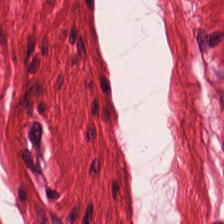Hematoxylin-and-eosin section: smooth-muscle tissue.
